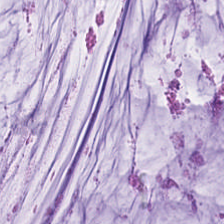Stain: H&E-stained tissue section.
Tissue type: extracellular mucin.
